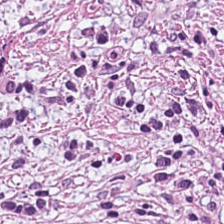Stain: hematoxylin and eosin.
Classification: tumor stroma.
